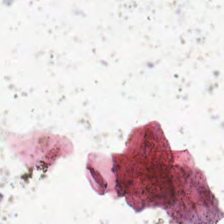The field content is background.
